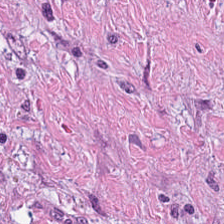Hematoxylin-and-eosin stained section — This field is tumor-associated stroma.
